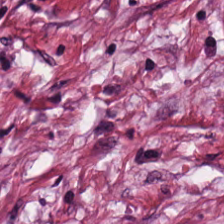FFPE tissue section. 224×224 pixel tile. H&E-stained tissue section.
Classification: desmoplastic stroma.
